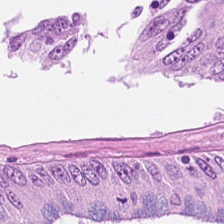Hematoxylin-and-eosin stained section; 224×224 pixel tile.
Predominant tissue: tumor epithelium.
